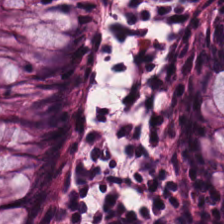Stain: hematoxylin-and-eosin stained section.
Preparation: formalin-fixed paraffin-embedded section.
Tile size: 224×224 px tile.
Tissue type: non-neoplastic colon mucosa.
